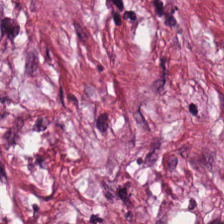H&E; WSI patch; 224×224 px patch — Histology — cancer-associated stroma.
